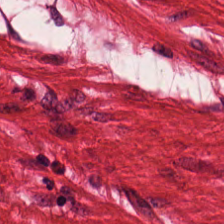Stain: H&E-stained tissue section.
Acquisition: brightfield.
Resolution: 0.5 µm/px.
Predominant tissue: smooth-muscle tissue.
